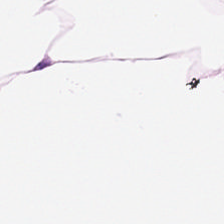Predominant tissue = fat tissue.
